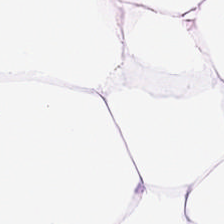Hematoxylin-and-eosin stained section.
This field is fat tissue.
